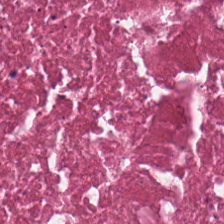The tissue here is debris.
